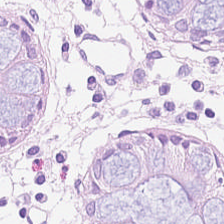The predominant tissue is normal colon mucosa.
